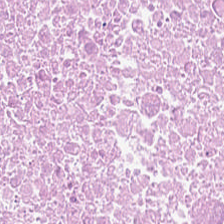Stain: hematoxylin and eosin.
Preparation: FFPE tissue section.
Acquisition: brightfield.
Tissue: necrotic debris.
